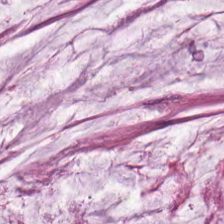H&E stain. Q: What is shown here?
A: The field shows mucin.
